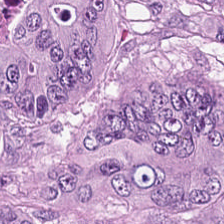H&E-stained tissue section; whole-slide-image patch.
Tissue class: colorectal adenocarcinoma epithelium.
